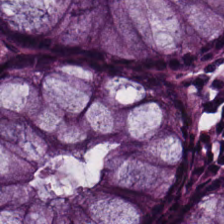Q: Identify the tissue.
A: The field shows non-neoplastic colon mucosa.
